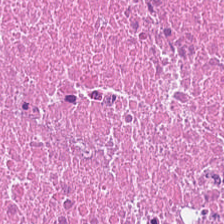Hematoxylin-and-eosin stained section. Predominant tissue — necrotic debris.
